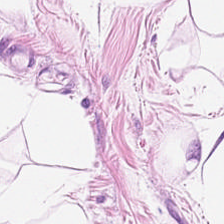224×224 px tile. H&E. Q: Identify the tissue.
A: The field shows fat tissue.
